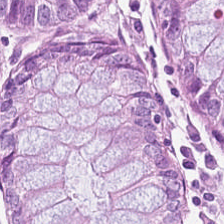H&E-stained section; the field shows benign colonic mucosa.
